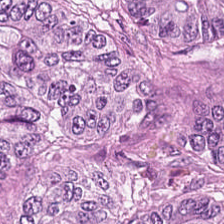H&E stain · FFPE. The tissue here is tumor epithelium.
